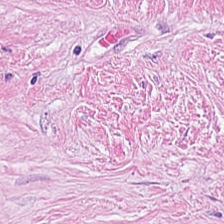0.5 µm/px · whole-slide-image patch · H&E — Tissue class — cancer-associated stroma.
